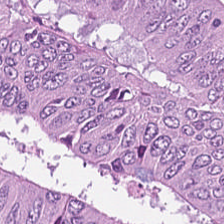H&E stain — Q: What does this patch show?
A: The field shows malignant epithelium.
